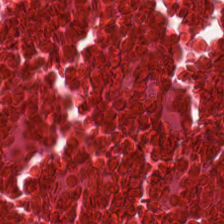Finding → cellular debris.
